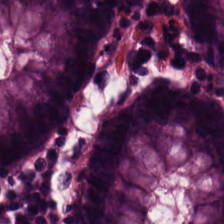H&E-stained tissue section · 224×224 px tile — Q: Classify this patch.
A: It is benign colonic mucosa.
